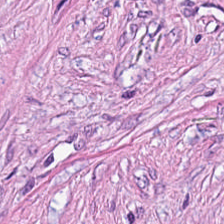Tissue type = tumor stroma.
